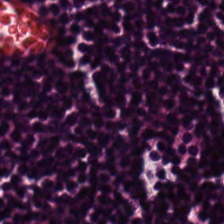Brightfield microscopy. Hematoxylin-and-eosin stained section. 224×224 pixel tile — Tissue type = lymphoid infiltrate.
